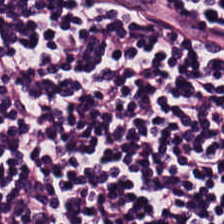Hematoxylin-and-eosin stained section.
Impression — lymphoid infiltrate.
